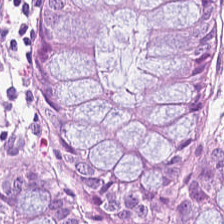Hematoxylin-and-eosin stained section. Formalin-fixed paraffin-embedded section — Showing normal colon mucosa.
